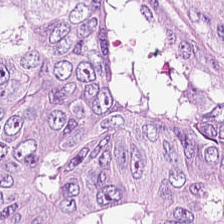Stain: H&E.
Resolution: 0.5 µm/px.
Predominant tissue: colorectal adenocarcinoma.
